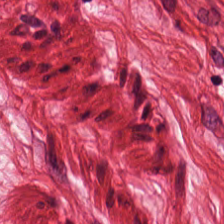Stain: H&E stain.
Preparation: FFPE.
Resolution: 0.5 µm per pixel.
Classification: muscularis.
